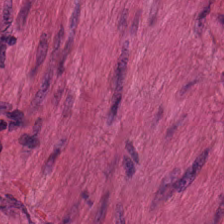Hematoxylin and eosin.
Q: What is the predominant tissue type?
A: It is smooth muscle.
